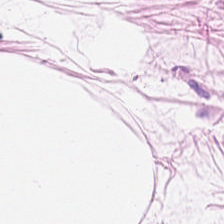Stain: H&E stain.
Predominant tissue: adipose.
